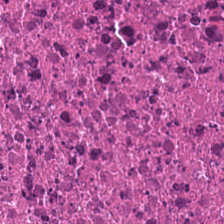H&E · formalin-fixed paraffin-embedded section · whole-slide-image patch — Finding — necrotic debris.
